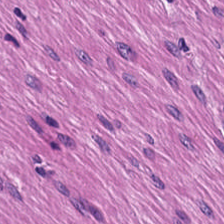Hematoxylin-and-eosin stained section.
Tissue type: smooth-muscle tissue.
